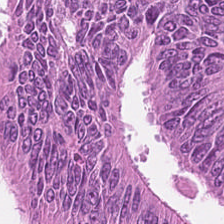Hematoxylin and eosin.
Malignant epithelium.
